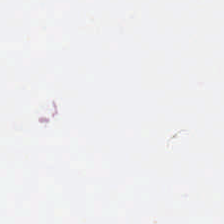This patch shows empty background.
